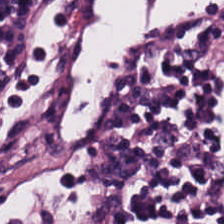Whole-slide-image patch. H&E. 20× equivalent magnification.
The tissue here is lymphoid infiltrate.
